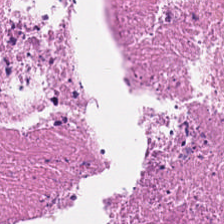Hematoxylin-and-eosin stained section. 224×224 px tile.
The tissue here is debris.
